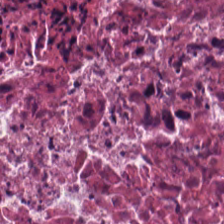The tissue here is debris.
